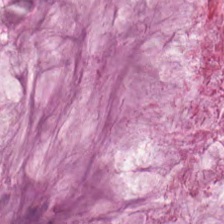224×224 px patch · H&E stain.
This patch shows extracellular mucin.
